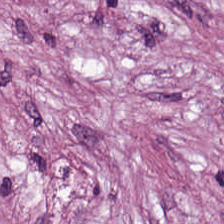The tissue here is tumor stroma.
